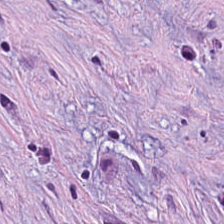Hematoxylin and eosin. Histology — tumor stroma.
